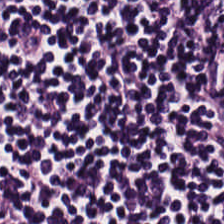Hematoxylin-and-eosin section: lymphoid infiltrate.
